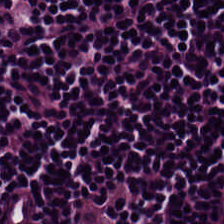Q: What tissue is shown?
A: The field shows lymphocytes.
